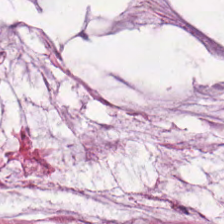Formalin-fixed paraffin-embedded section · H&E stain — Q: What is the predominant tissue type?
A: The field shows mucus.
